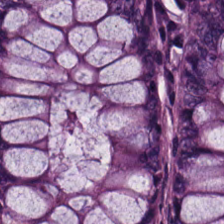20× equivalent magnification. H&E stain. Showing normal colon mucosa.
